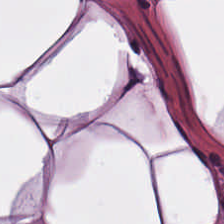Hematoxylin and eosin · 0.5 µm/px — Predominantly adipocytes.
